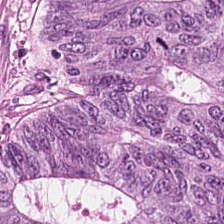H&E.
Q: What type of tissue is this?
A: It is colorectal adenocarcinoma.
